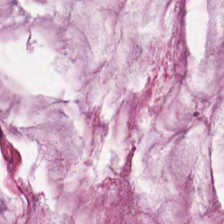H&E-stained tissue section — Q: What is shown here?
A: The field shows extracellular mucin.
